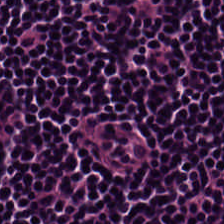Formalin-fixed paraffin-embedded section. Hematoxylin and eosin.
The tissue here is lymphocyte aggregate.
